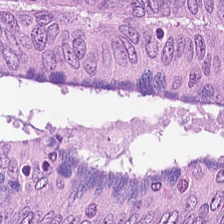Tissue: malignant epithelium.
